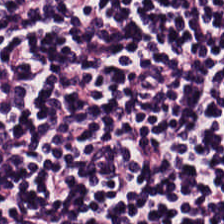Stain: hematoxylin-and-eosin stained section.
Resolution: 0.5 µm/px.
Tile size: 224×224 pixel tile.
Tissue: lymphocytic infiltrate.
